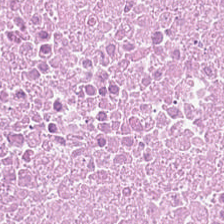Tissue class = cellular debris.
